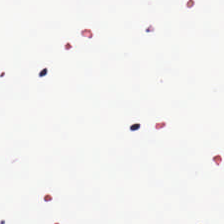Finding → no tissue.
